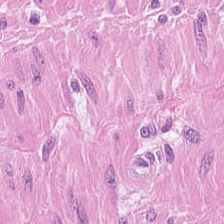H&E-stained tissue section.
Impression — muscularis.
